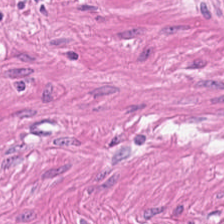Hematoxylin-and-eosin stained section; 224×224 px tile. Classification: smooth muscle.
